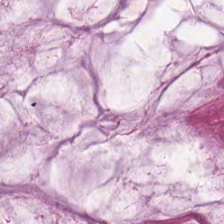Q: What is the predominant tissue type?
A: The field shows mucus.
